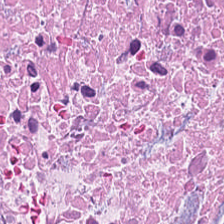FFPE. H&E. Q: What tissue type is shown here?
A: This is necrotic debris.
